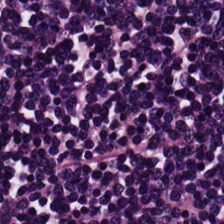H&E-stained tissue section. The tissue class is lymphoid infiltrate.
